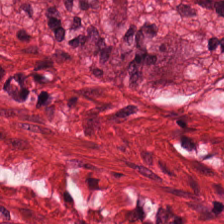Hematoxylin and eosin · 224×224 px patch.
Muscularis.
